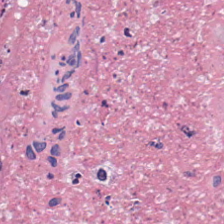Brightfield · 0.5 µm/px · H&E stain.
Predominant tissue = cellular debris.
